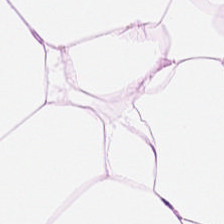H&E. Whole-slide-image patch — Impression — fat tissue.
